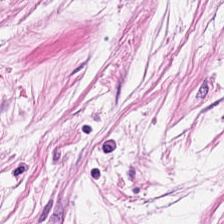224×224 px tile. Hematoxylin and eosin. Predominant tissue — tumor-associated stroma.
